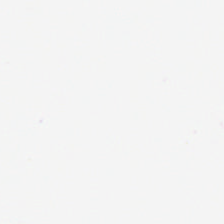FFPE. H&E-stained tissue section — Background.
